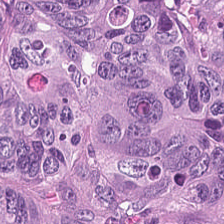Impression — colorectal adenocarcinoma epithelium.
